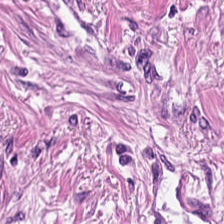Stain: H&E.
Tissue type: tumor stroma.
